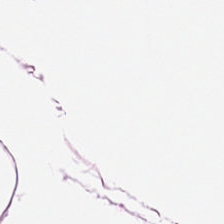The tissue is fat tissue.
